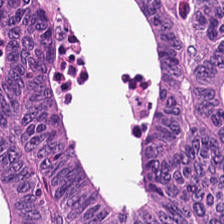H&E-stained tissue section.
The predominant tissue is tumor epithelium.
